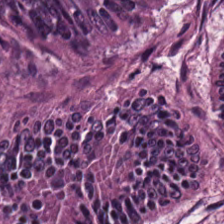Tissue type = adenocarcinoma.
